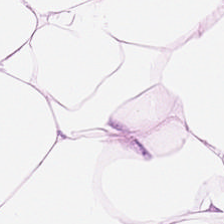H&E — Impression — fat tissue.
